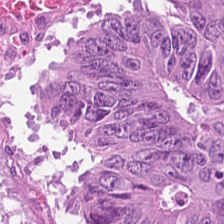Finding — malignant epithelium.
